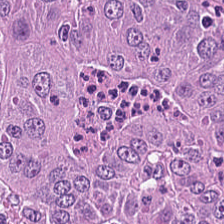H&E-stained tissue section · brightfield microscopy · 20× equivalent magnification — Classification: adenocarcinoma.
